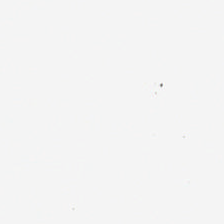Hematoxylin-and-eosin stained section.
{"content": "background (no tissue)"}
